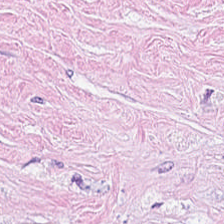H&E-stained tissue section.
The tissue here is cancer-associated stroma.
